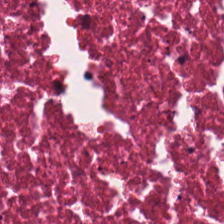This field is cellular debris.
